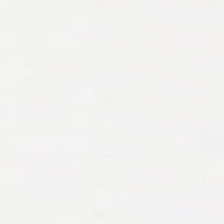0.5 µm/px. H&E stain. FFPE tissue section.
Empty field — no tissue.
